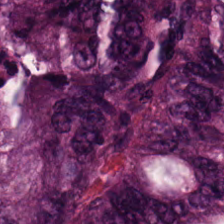Q: What tissue type is shown here?
A: Colorectal adenocarcinoma.
